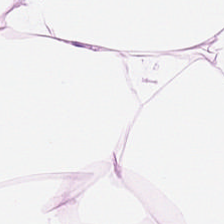Stain: H&E-stained tissue section.
Predominant tissue: fat tissue.
